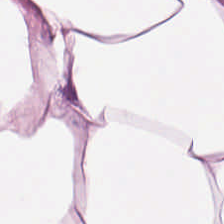H&E-stained tissue section. 224×224 px tile. Q: What is shown in this field?
A: It is fat tissue.
